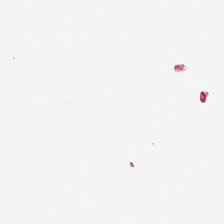H&E-stained tissue section. 20× equivalent magnification — Background — no tissue in this field.
